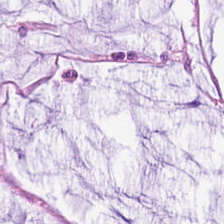H&E; 224×224 pixel tile — {"tissue_type": "extracellular mucin"}
